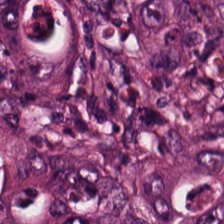H&E. The classification is colorectal adenocarcinoma epithelium.
